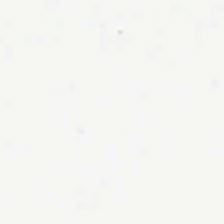Hematoxylin-and-eosin stained section. Q: What is shown in this field?
A: The field shows empty background.
